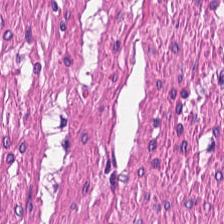Whole-slide-image patch. Hematoxylin-and-eosin stained section — Tissue — smooth muscle.
